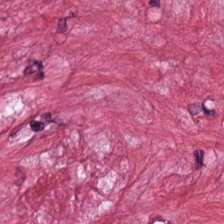Predominant tissue: cancer-associated stroma.
